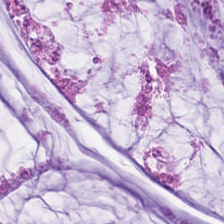Hematoxylin-and-eosin stained section — Q: What is the predominant tissue type?
A: Extracellular mucin.
